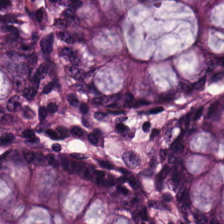The tissue here is benign colonic mucosa.
